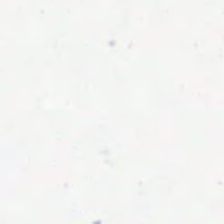Whole-slide-image patch; 224×224 px tile; hematoxylin-and-eosin stained section.
{"content": "background (no tissue)"}
